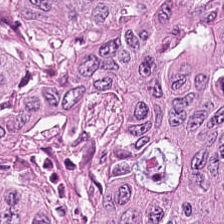224×224 pixel tile · H&E — Q: What tissue is shown?
A: It is colorectal adenocarcinoma.
